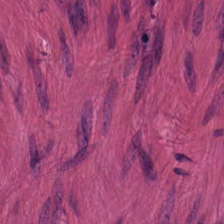H&E-stained tissue section.
Tissue: smooth-muscle tissue.
